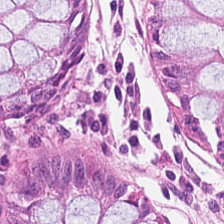Brightfield · H&E stain. Tissue = non-neoplastic colon mucosa.
